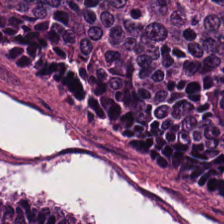Predominant tissue: adenocarcinoma.
